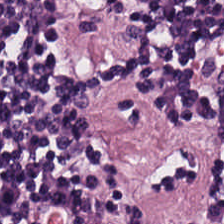The classification is lymphocytic infiltrate.
